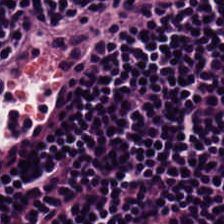This patch shows lymphoid infiltrate.
